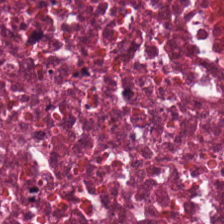Hematoxylin and eosin · 0.5 microns per pixel · 224×224 pixel tile.
Finding — necrotic debris.
